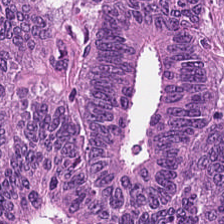Hematoxylin and eosin — The predominant tissue is malignant epithelium.
